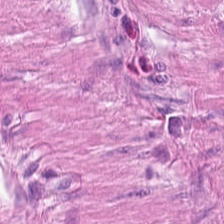Hematoxylin-and-eosin stained section. This patch shows smooth muscle.
